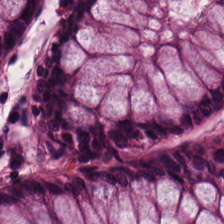Impression — normal colon mucosa.
